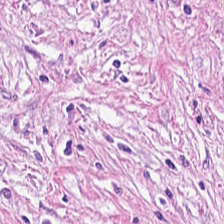H&E — desmoplastic stroma.
